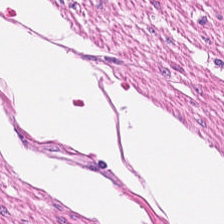Impression → muscularis.
